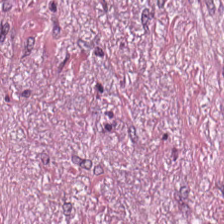Stain: H&E stain.
Tissue class: tumor-associated stroma.
